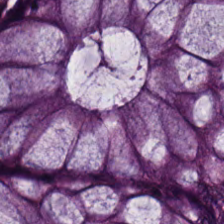H&E stain. The predominant tissue is normal colonic mucosa.
